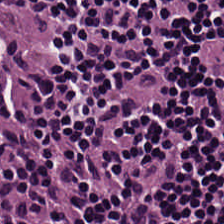H&E. Q: Classify this patch.
A: The field shows lymphocytic infiltrate.
